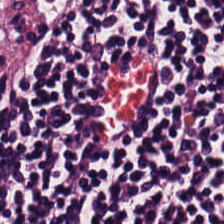H&E stain · FFPE tissue section.
This patch shows lymphoid infiltrate.
